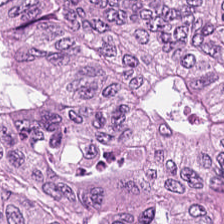Hematoxylin-and-eosin stained section. Finding — tumor epithelium.
